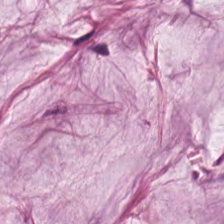20× equivalent magnification · H&E-stained tissue section.
Showing extracellular mucin.
